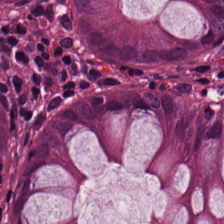Hematoxylin and eosin — Tissue class: non-neoplastic colon mucosa.
